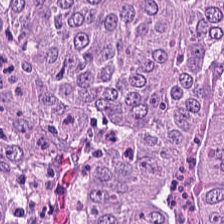Stain: H&E stain.
Acquisition: brightfield microscopy.
Tissue class: tumor epithelium.
